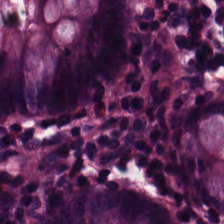Brightfield · H&E — This patch shows normal colonic mucosa.
